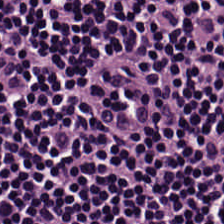Lymphocytic infiltrate.
